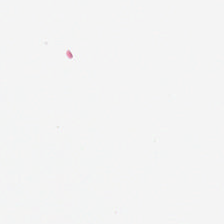Impression — background (no tissue).
